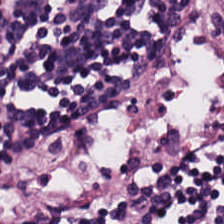Hematoxylin and eosin. Q: What does this patch show?
A: Lymphoid infiltrate.
